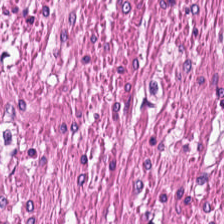This field is smooth-muscle tissue.
